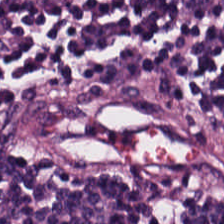20× equivalent magnification. H&E. 224×224 px patch — Impression — lymphocyte aggregate.
